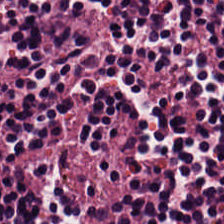Hematoxylin and eosin.
Predominant tissue: lymphocyte aggregate.
